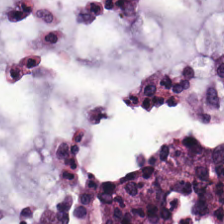Hematoxylin and eosin. Predominant tissue — extracellular mucin.
